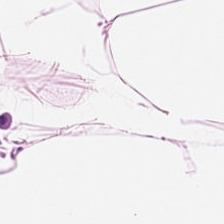H&E stain — Q: What type of tissue is this?
A: Adipose tissue.
